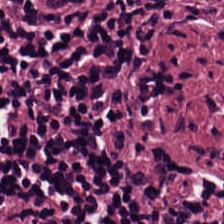0.5 microns per pixel. H&E stain — Q: What type of tissue is this?
A: The field shows lymphocytic infiltrate.
